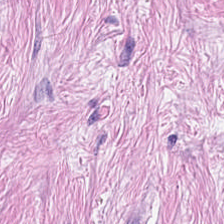Hematoxylin and eosin — The tissue here is tumor stroma.
